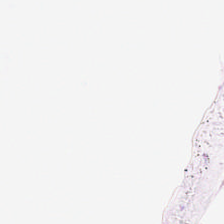224×224 pixel tile; hematoxylin and eosin.
Background.
